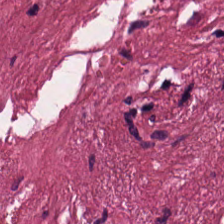Hematoxylin-and-eosin stained section. 0.5 µm per pixel — Finding — desmoplastic stroma.
